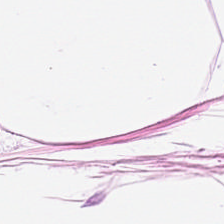WSI patch. Hematoxylin and eosin.
The tissue type is adipose tissue.
